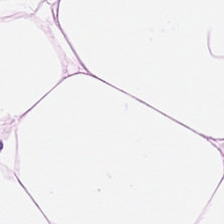H&E-stained section; the field shows fat tissue.
